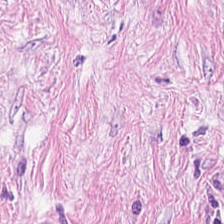Tissue class = desmoplastic stroma.
